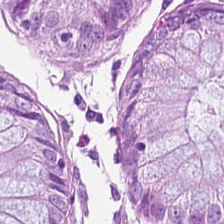Whole-slide-image patch · H&E stain · FFPE.
This patch shows normal colon mucosa.
